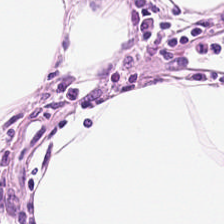FFPE. Hematoxylin and eosin — Adipose.
